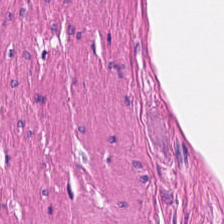Hematoxylin and eosin.
The tissue type is muscularis.
